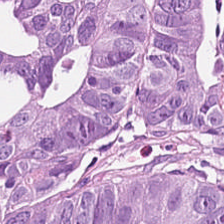Hematoxylin-and-eosin stained section.
Finding — adenocarcinoma.
